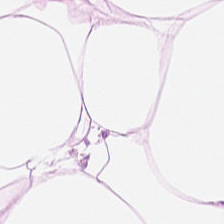H&E-stained tissue section. Q: What is shown here?
A: The field shows adipose tissue.
